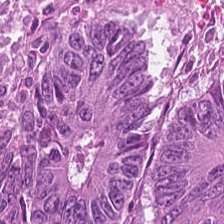Tissue class = colorectal adenocarcinoma epithelium.
